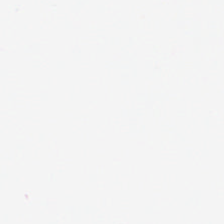H&E stain; 0.5 microns per pixel — Empty field — empty background.
